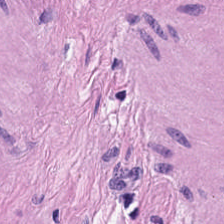224×224 px patch · H&E stain. Smooth muscle.
